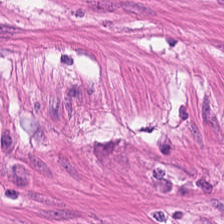Formalin-fixed paraffin-embedded section. H&E-stained tissue section — Q: What is shown in this field?
A: The field shows muscularis.
